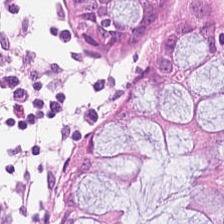H&E stain.
The tissue class is benign colonic mucosa.
